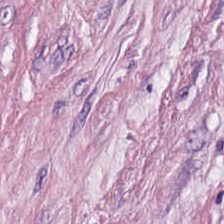H&E stain. The tissue is tumor stroma.
